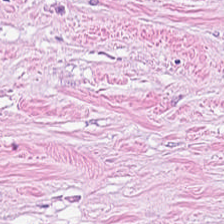Tissue class = cancer-associated stroma.
